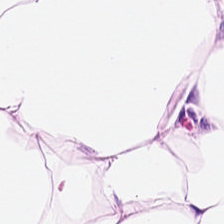H&E stain — Histology → adipose.
